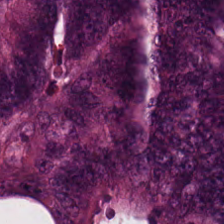H&E. Histology — colorectal adenocarcinoma.
